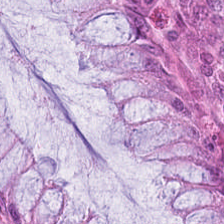Stain: H&E stain.
Tissue type: normal colon mucosa.
